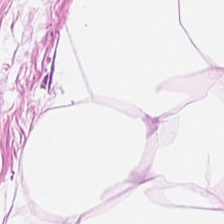Formalin-fixed paraffin-embedded section; H&E-stained tissue section. Adipocytes.
